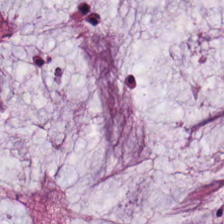Whole-slide-image patch; H&E stain — Q: Classify this patch.
A: Mucin.
